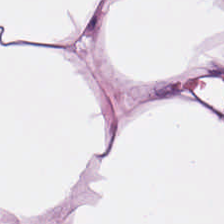Fat tissue.
